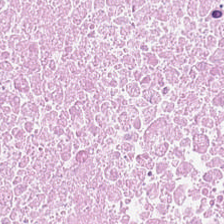Hematoxylin-and-eosin stained section. 0.5 µm/px. Predominant tissue: necrotic debris.
